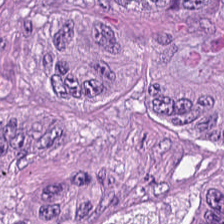H&E stain. 0.5 microns per pixel — Tissue type: malignant epithelium.
